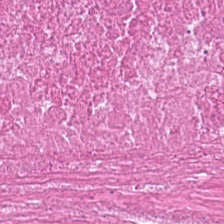H&E stain. Q: What is shown here?
A: It is cellular debris.
